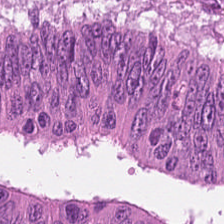{"tissue_type": "colorectal adenocarcinoma"}
